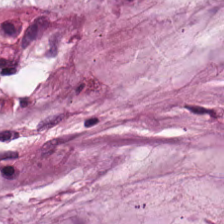Tissue type — mucin.
